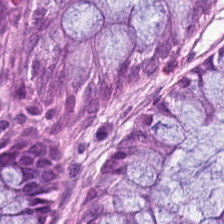224×224 pixel tile; hematoxylin-and-eosin stained section; 0.5 microns per pixel — Q: What does this patch show?
A: It is normal colon mucosa.
